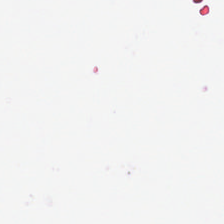Stain: H&E-stained tissue section.
Field content: empty background.
